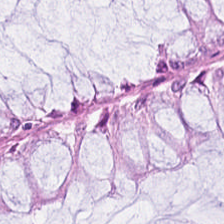Stain: H&E-stained tissue section.
Tissue type: non-neoplastic colon mucosa.
